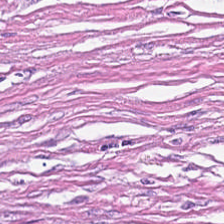Hematoxylin and eosin. 0.5 microns per pixel. WSI patch. Q: What tissue is shown?
A: Desmoplastic stroma.
